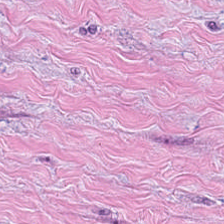H&E-stained tissue section.
This field is tumor-associated stroma.
